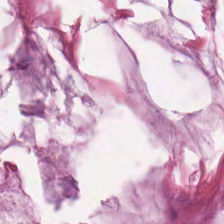Q: What tissue type is shown here?
A: Mucus.
